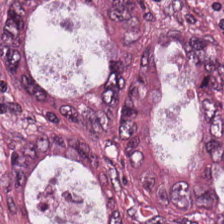WSI patch. Hematoxylin and eosin — This patch shows tumor epithelium.
